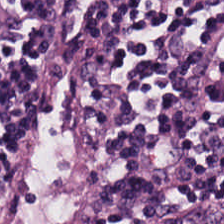Hematoxylin-and-eosin stained section · brightfield — Tissue type — lymphocytic infiltrate.
